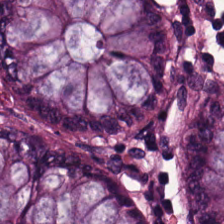H&E stain; 20× equivalent magnification; whole-slide-image patch — Non-neoplastic colon mucosa.
